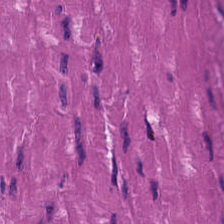Brightfield microscopy. 0.5 µm/px. H&E. The tissue here is smooth muscle.
